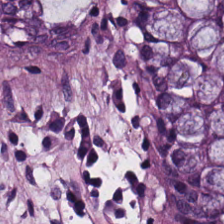H&E stain. Impression — normal colonic mucosa.
